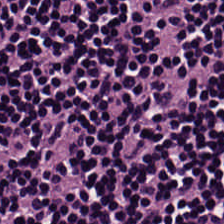0.5 microns per pixel · hematoxylin and eosin · brightfield. {"tissue_type": "lymphocyte aggregate"}
